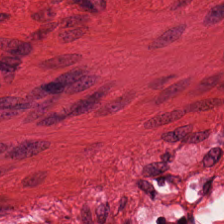H&E-stained tissue section. Classification: smooth-muscle tissue.
